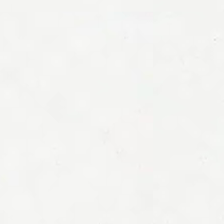H&E.
Content: background.
